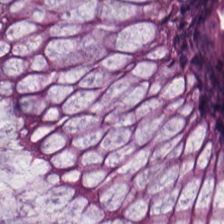FFPE tissue section; hematoxylin and eosin. Q: What is the predominant tissue type?
A: Normal colonic mucosa.
